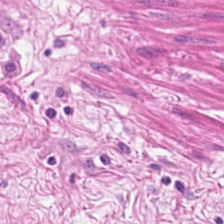Hematoxylin-and-eosin stained section — Impression — smooth-muscle tissue.
